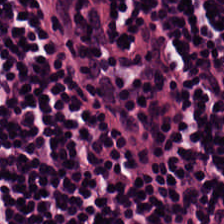Predominantly lymphocytes.
